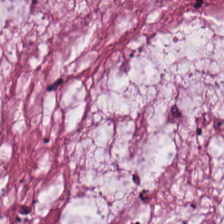Hematoxylin-and-eosin stained section. FFPE. Whole-slide-image patch — Q: What type of tissue is this?
A: It is mucus.
